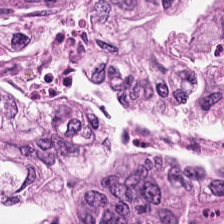Stain: H&E-stained tissue section.
Preparation: formalin-fixed paraffin-embedded section.
Classification: colorectal adenocarcinoma epithelium.
